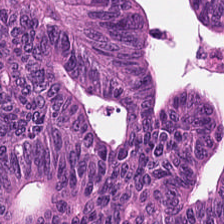Hematoxylin and eosin.
The tissue here is colorectal adenocarcinoma.
